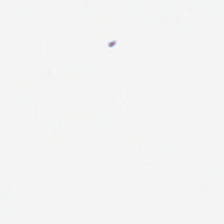Content: background (no tissue).
